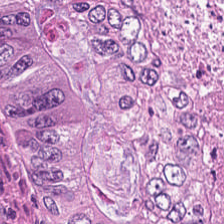Formalin-fixed paraffin-embedded section · 20× equivalent magnification · hematoxylin and eosin. Classification: necrotic debris.
